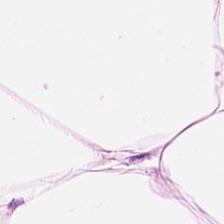FFPE. H&E.
Predominantly fat tissue.
